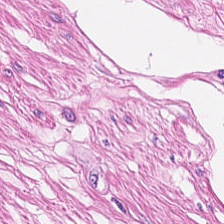H&E.
Predominant tissue = smooth muscle.
